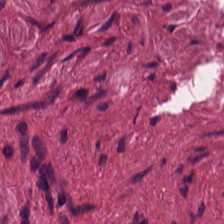Hematoxylin and eosin · 224×224 px patch. Tumor-associated stroma.
